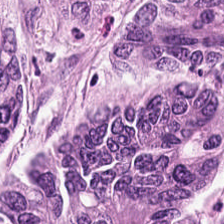The tissue class is adenocarcinoma.
